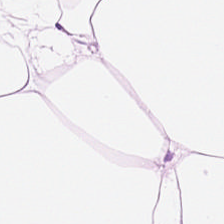H&E.
Classification: fat tissue.
